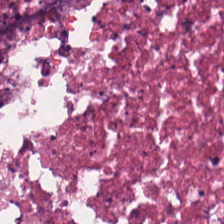H&E stain. The tissue here is debris.
